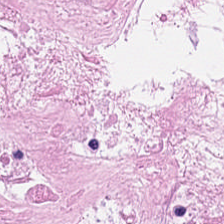Stain: hematoxylin-and-eosin stained section.
Resolution: 0.5 µm/px.
Acquisition: brightfield.
Tissue type: cellular debris.
